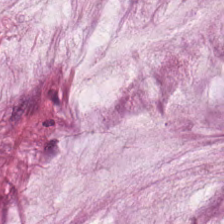H&E-stained section; the field shows mucin.
